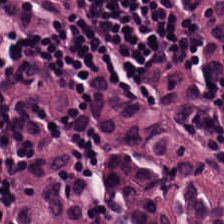Hematoxylin-and-eosin stained section · 224×224 pixel tile. The predominant tissue is lymphocytes.
